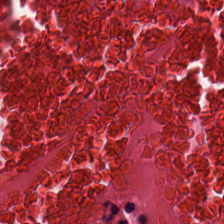H&E-stained tissue section.
Q: What is shown here?
A: The field shows debris.
